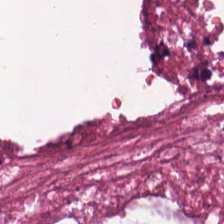Hematoxylin-and-eosin stained section; FFPE. Classification — cellular debris.
